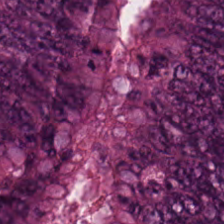H&E. Extracellular mucin.
